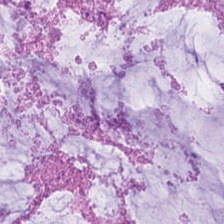WSI patch · hematoxylin and eosin · 0.5 µm/px — Q: What type of tissue is this?
A: It is extracellular mucin.
